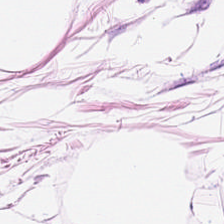H&E patch showing adipocytes.
